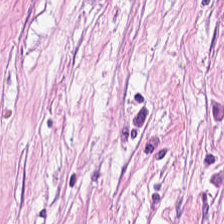H&E stain; 0.5 microns per pixel. Classification — cancer-associated stroma.
